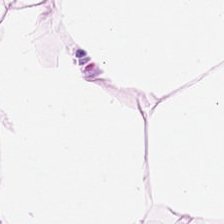Stain: H&E-stained tissue section.
Tissue class: fat tissue.
